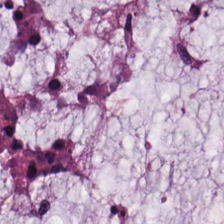H&E stain — Showing mucus.
